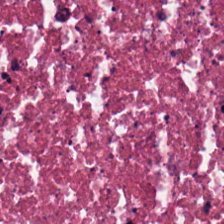Hematoxylin-and-eosin section: debris.
